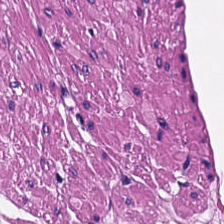H&E stain — Smooth muscle.
